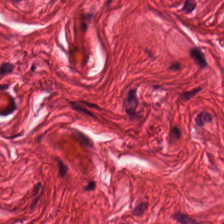Showing smooth-muscle tissue.
